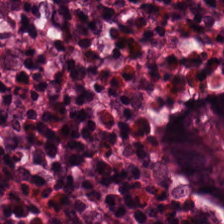Hematoxylin-and-eosin stained section. 224×224 px tile. Tissue type — normal colonic mucosa.
